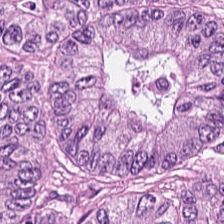224×224 px patch · H&E stain.
Q: What is the predominant tissue type?
A: The field shows colorectal adenocarcinoma.
